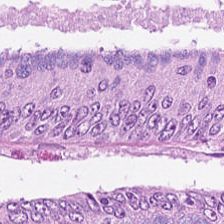H&E-stained tissue section.
Tissue class — colorectal adenocarcinoma epithelium.
